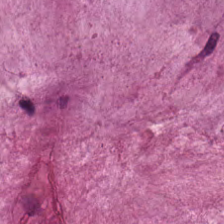H&E · whole-slide-image patch — Histology — mucus.
